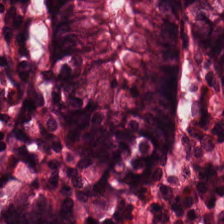224×224 px tile; hematoxylin-and-eosin stained section. Tissue class — normal colon mucosa.
